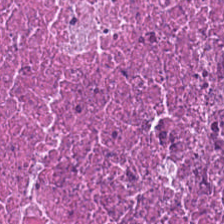Hematoxylin-and-eosin stained section; 224×224 px patch; FFPE.
Q: What tissue is shown?
A: Necrotic debris.
